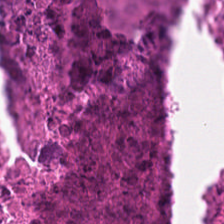Cellular debris.
